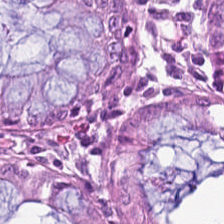Finding → normal colon mucosa.
